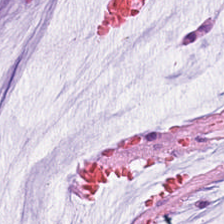224×224 px tile · 0.5 µm per pixel · hematoxylin and eosin.
Predominantly mucus.
